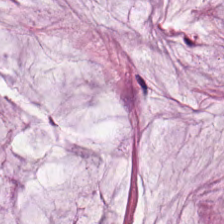This patch shows extracellular mucin.
